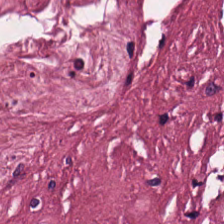H&E. 224×224 pixel tile — The classification is tumor stroma.
